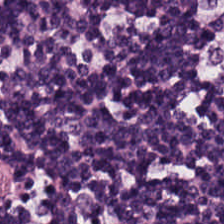H&E-stained tissue section — Impression → lymphocytes.
